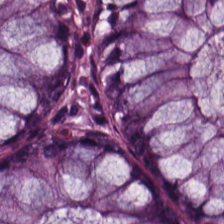Hematoxylin-and-eosin stained section. Q: What does this patch show?
A: The field shows normal colonic mucosa.
